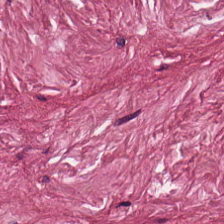FFPE; 0.5 µm/px; H&E stain. Q: What is shown here?
A: Tumor-associated stroma.
